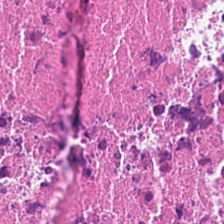WSI patch; hematoxylin and eosin; 20× equivalent magnification. This patch shows debris.
